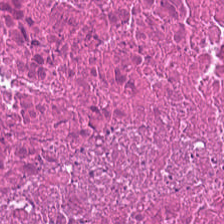Hematoxylin-and-eosin stained section.
The classification is necrotic debris.
